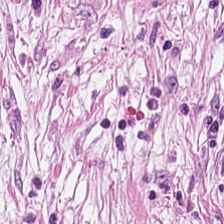Classification — tumor stroma.
